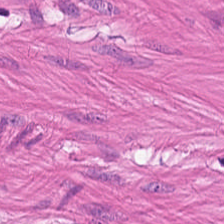H&E stain — Impression → smooth-muscle tissue.
